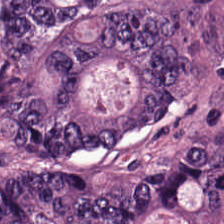Hematoxylin and eosin.
Tissue class: adenocarcinoma.
